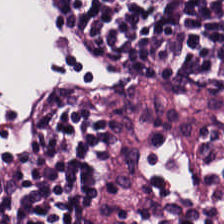Hematoxylin-and-eosin stained section. Finding → lymphoid infiltrate.
